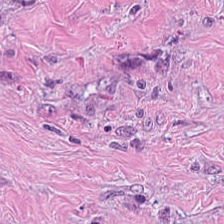Showing tumor-associated stroma.
